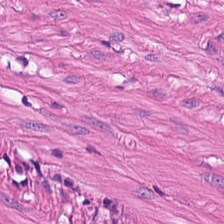FFPE tissue section. 224×224 pixel tile. H&E stain. Showing smooth-muscle tissue.
